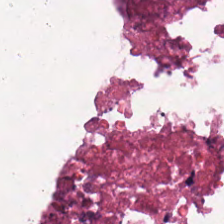H&E.
Tissue = cellular debris.
